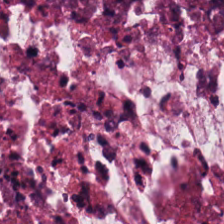H&E-stained tissue section. The predominant tissue is debris.
